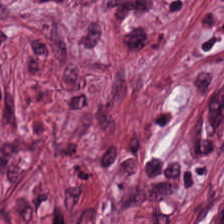H&E stain; 0.5 microns per pixel; 224×224 pixel tile.
Impression — desmoplastic stroma.
